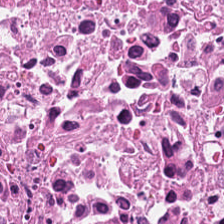Hematoxylin and eosin. FFPE. Brightfield — This field is debris.
